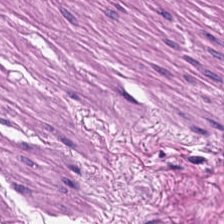Hematoxylin and eosin; 0.5 microns per pixel; FFPE.
Predominantly smooth muscle.
